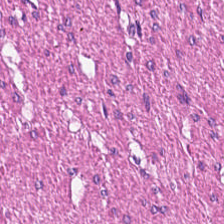FFPE tissue section; hematoxylin-and-eosin stained section — The predominant tissue is smooth muscle.
